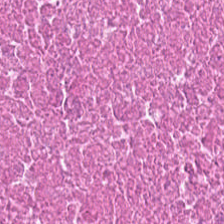H&E. 0.5 µm/px — {"tissue_type": "cellular debris"}
